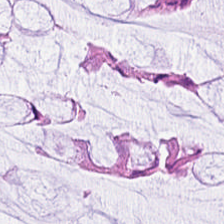H&E-stained tissue section; formalin-fixed paraffin-embedded section. Impression → normal colonic mucosa.
